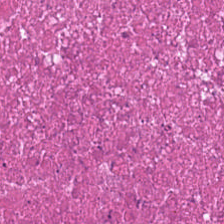H&E-stained tissue section — Predominantly cellular debris.
